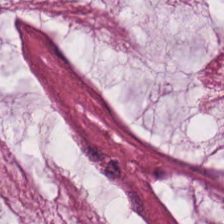Brightfield · H&E · 224×224 px tile.
Tissue class: mucus.
